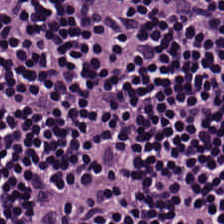H&E; FFPE tissue section. Q: What does this patch show?
A: This is lymphocytic infiltrate.
